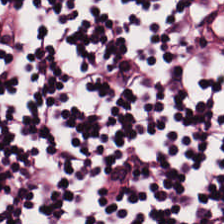H&E patch showing lymphoid infiltrate.
